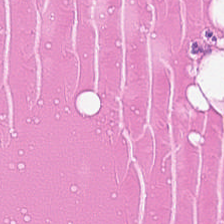H&E-stained tissue section. Histology → cellular debris.
